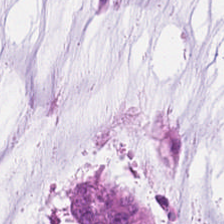H&E stain; FFPE tissue section; 224×224 pixel tile. Q: Identify the tissue.
A: This is mucus.
